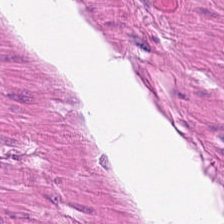Stain: hematoxylin and eosin.
Tile size: 224×224 px patch.
Preparation: FFPE.
Classification: smooth muscle.
